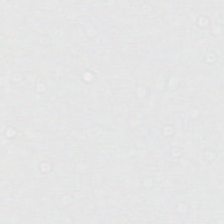This patch shows empty background.
